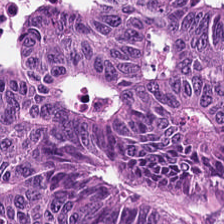H&E stain — {"tissue_type": "colorectal adenocarcinoma epithelium"}
